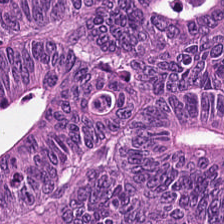Tissue class = adenocarcinoma.
